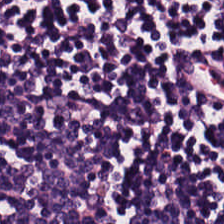H&E — The tissue type is lymphoid infiltrate.
